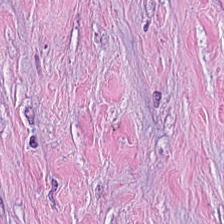This field is tumor stroma.
